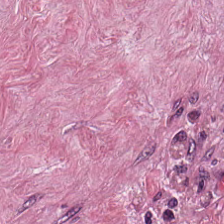H&E stain — Cancer-associated stroma.
